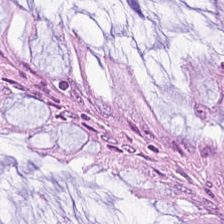Hematoxylin-and-eosin stained section. Q: What is the predominant tissue type?
A: It is non-neoplastic colon mucosa.
